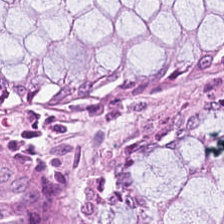H&E-stained tissue section. Predominant tissue: normal colon mucosa.
